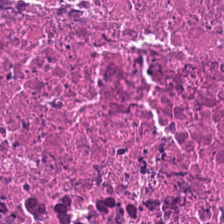H&E-stained tissue section · formalin-fixed paraffin-embedded section · 224×224 pixel tile.
Tissue type: cellular debris.
